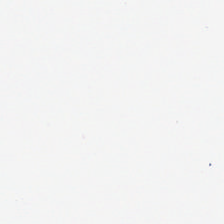Hematoxylin and eosin. FFPE.
Finding → empty background.
